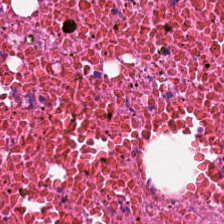Predominantly debris.
